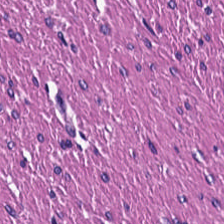Hematoxylin and eosin.
Predominant tissue = smooth muscle.
